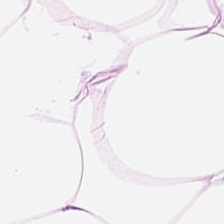Stain: hematoxylin and eosin.
Predominant tissue: fat tissue.
